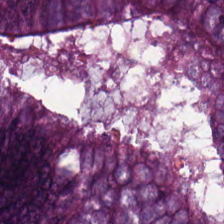H&E. Tissue = adenocarcinoma.
